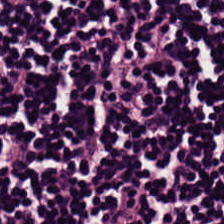Hematoxylin-and-eosin stained section · FFPE. {"tissue_type": "lymphocytes"}
